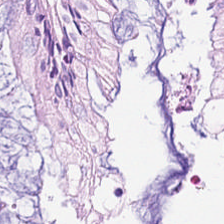H&E — Impression → non-neoplastic colon mucosa.
